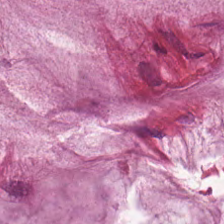H&E. {"tissue_type": "mucus"}
